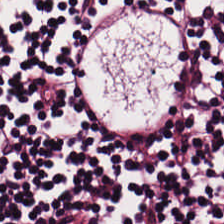Tissue type = lymphoid infiltrate.
